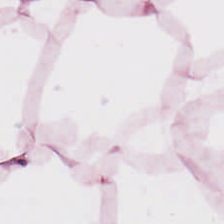Hematoxylin-and-eosin stained section — Histology → adipose.
